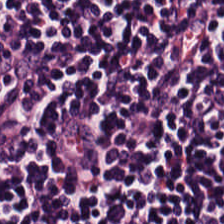H&E stain. This patch shows lymphocyte aggregate.
